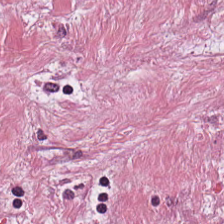Hematoxylin-and-eosin stained section — Showing cancer-associated stroma.
